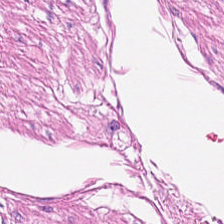The tissue here is smooth muscle.
